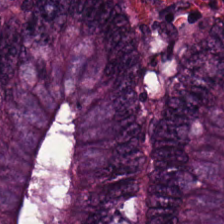Hematoxylin and eosin — The predominant tissue is colorectal adenocarcinoma.
